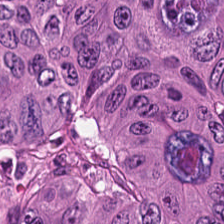Q: Identify the tissue.
A: This is colorectal adenocarcinoma epithelium.
